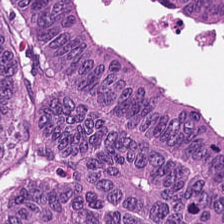Brightfield. 224×224 px tile. H&E-stained tissue section. Showing tumor epithelium.
